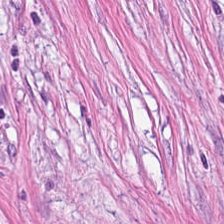Q: Identify the tissue.
A: It is tumor-associated stroma.
